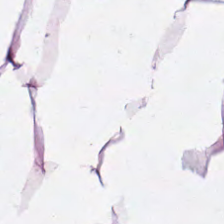Hematoxylin and eosin — Showing fat tissue.
